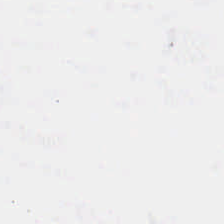H&E stain. 224×224 pixel tile. Formalin-fixed paraffin-embedded section.
Q: What is shown in this field?
A: The field shows background.
